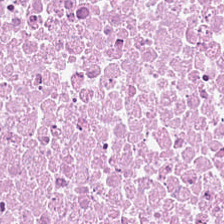Stain: H&E.
Tissue type: necrotic debris.
